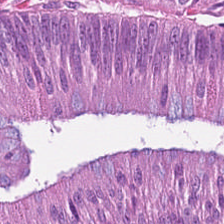Stain: hematoxylin and eosin.
Resolution: 0.5 µm/px.
Predominant tissue: colorectal adenocarcinoma epithelium.
